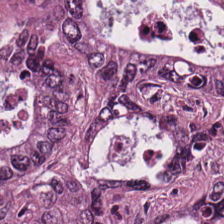Stain: H&E-stained tissue section.
Predominant tissue: malignant epithelium.
